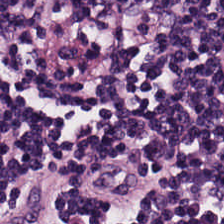Hematoxylin and eosin. Q: What tissue is shown?
A: The field shows lymphocyte aggregate.
